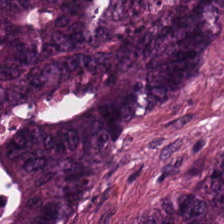224×224 pixel tile. H&E-stained tissue section — This patch shows colorectal adenocarcinoma epithelium.
